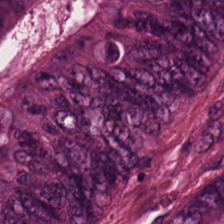H&E — Predominantly mucus.
